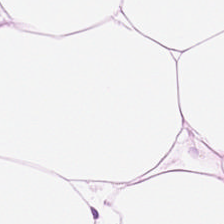Q: What tissue type is shown here?
A: It is adipose tissue.
